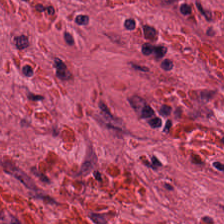H&E — desmoplastic stroma.
